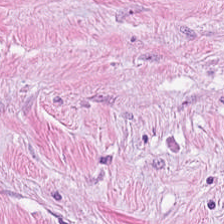Hematoxylin-and-eosin stained section. 224×224 px tile. Predominant tissue = tumor stroma.
